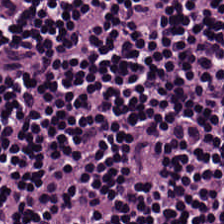Stain: hematoxylin and eosin.
Tile size: 224×224 px patch.
Tissue type: lymphocytic infiltrate.
